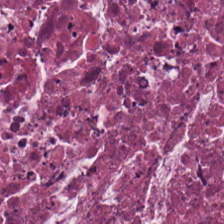20× equivalent magnification. H&E-stained tissue section. FFPE tissue section.
Predominantly cellular debris.
